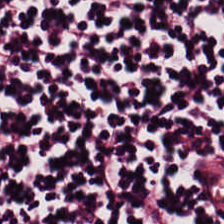Formalin-fixed paraffin-embedded section; brightfield microscopy; hematoxylin-and-eosin stained section — Q: What tissue is shown?
A: Lymphocytes.
